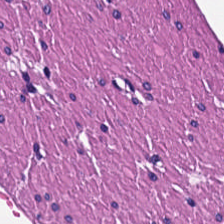Hematoxylin and eosin; 224×224 px patch.
Showing muscularis.
